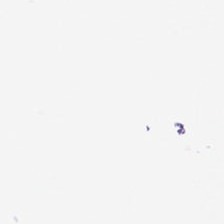Stain: hematoxylin and eosin.
Tile size: 224×224 px tile.
Field content: background (no tissue).
